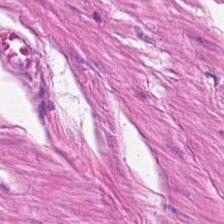224×224 px patch. H&E stain — This field is smooth-muscle tissue.
